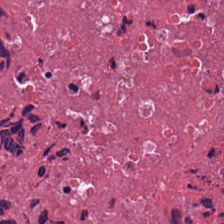Hematoxylin-and-eosin stained section.
Predominantly cellular debris.
